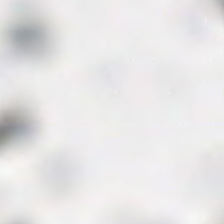Field content = no tissue.
